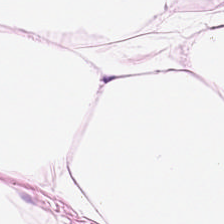Formalin-fixed paraffin-embedded section; H&E-stained tissue section.
This patch shows fat tissue.
